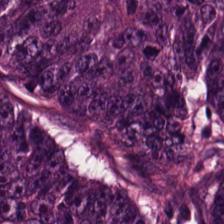Hematoxylin and eosin. The tissue class is colorectal adenocarcinoma.
